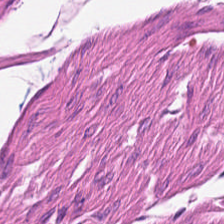H&E. Showing muscularis.
